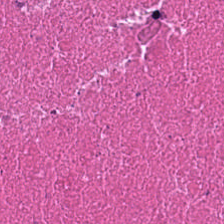Brightfield. H&E stain. FFPE.
This patch shows necrotic debris.
